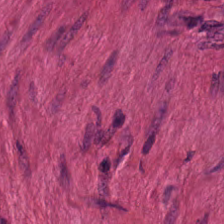Hematoxylin-and-eosin stained section. This patch shows smooth-muscle tissue.
